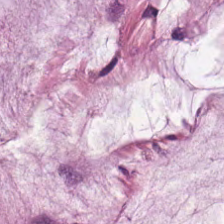H&E stain. The tissue here is mucus.
